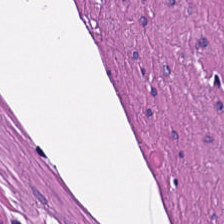Stain: H&E-stained tissue section.
Resolution: 20× equivalent magnification.
Tissue type: smooth muscle.
